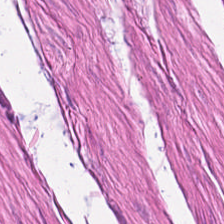Hematoxylin and eosin · formalin-fixed paraffin-embedded section — The classification is smooth muscle.
